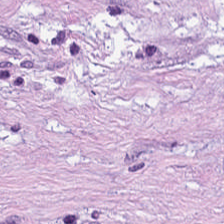Hematoxylin and eosin. Histology — tumor-associated stroma.
